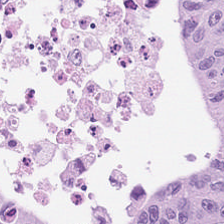Classification: colorectal adenocarcinoma.
